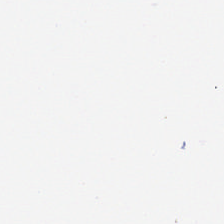WSI patch · 224×224 pixel tile · hematoxylin and eosin. Q: What is shown in this field?
A: The field shows no tissue.
